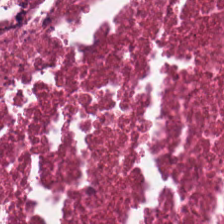Hematoxylin and eosin. FFPE.
This field is debris.
